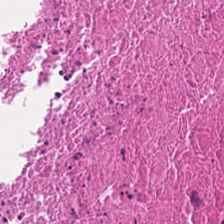Hematoxylin-and-eosin stained section.
This patch shows debris.
